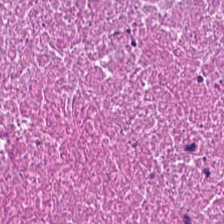Hematoxylin and eosin. 224×224 px tile — The predominant tissue is necrotic debris.
